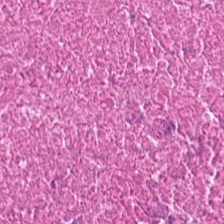Hematoxylin and eosin — Tissue = necrotic debris.
